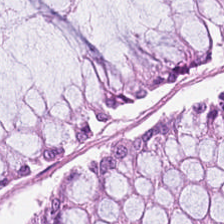This patch shows benign colonic mucosa.
